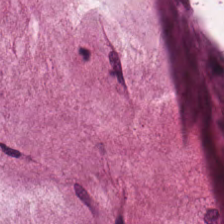Hematoxylin and eosin.
Q: What tissue is shown?
A: The field shows extracellular mucin.
